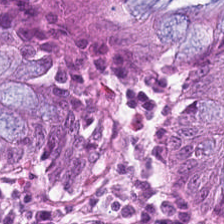224×224 px patch; 0.5 microns per pixel; H&E. {"tissue_type": "non-neoplastic colon mucosa"}
